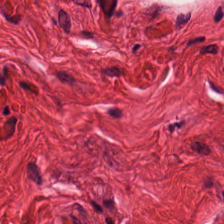0.5 µm/px. Hematoxylin and eosin. {"tissue_type": "muscularis"}
